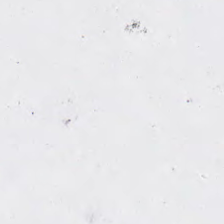Hematoxylin-and-eosin stained section; 20× equivalent magnification — Finding — background.
